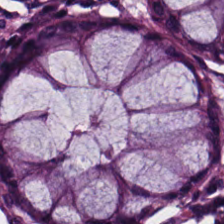Stain: hematoxylin-and-eosin stained section.
Resolution: 0.5 microns per pixel.
Tile size: 224×224 pixel tile.
Predominant tissue: normal colon mucosa.
